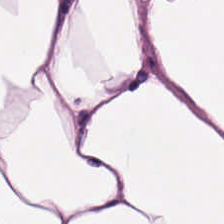0.5 µm/px. 224×224 px patch. Hematoxylin-and-eosin stained section.
Predominantly adipose tissue.
